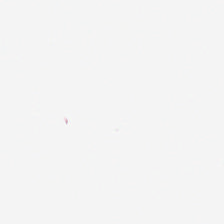Hematoxylin-and-eosin stained section; 224×224 px tile. Finding → empty background.
